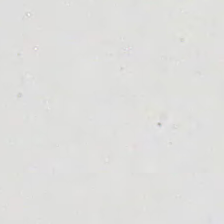Hematoxylin and eosin. No tissue.
